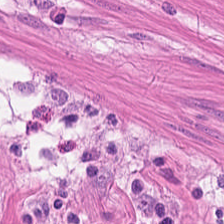H&E.
Finding → smooth muscle.
